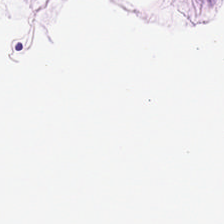{"tissue_type": "adipose tissue"}
